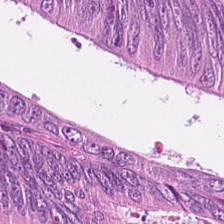Tissue: adenocarcinoma.
